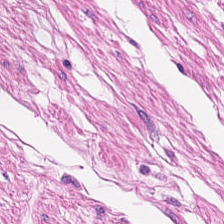Hematoxylin-and-eosin stained section. 0.5 microns per pixel.
Tissue class: smooth muscle.
